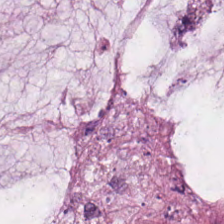H&E stain. This field is mucus.
